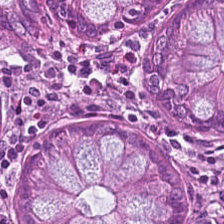{"tissue_type": "non-neoplastic colon mucosa"}
